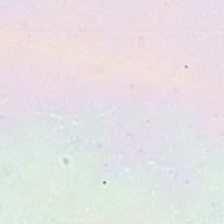Q: What is shown here?
A: The field shows background (no tissue).
